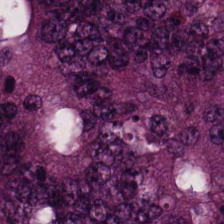224×224 px tile; 0.5 microns per pixel; H&E — Classification = adenocarcinoma.
